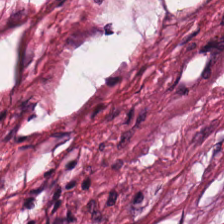20× equivalent magnification; hematoxylin and eosin.
Tissue type: desmoplastic stroma.
